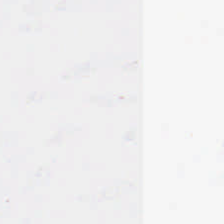H&E-stained tissue section; whole-slide-image patch. No tissue present; background only.
